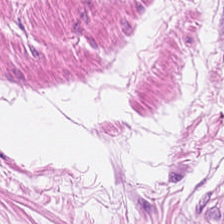Hematoxylin-and-eosin stained section.
Predominant tissue: smooth muscle.
